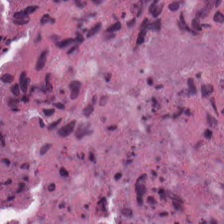H&E stain — Classification = debris.
